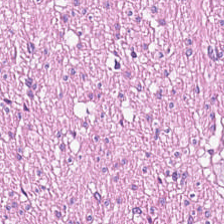Histology — smooth-muscle tissue.
